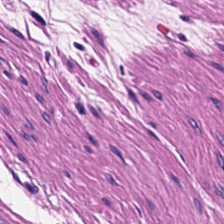224×224 pixel tile. Hematoxylin-and-eosin stained section. FFPE tissue section.
Classification — smooth muscle.
